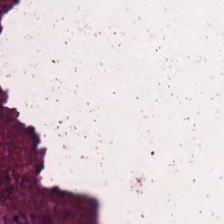Stain: H&E.
Tissue type: cellular debris.
